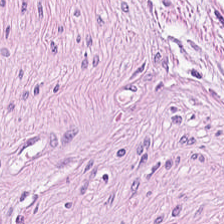Finding — tumor stroma.
